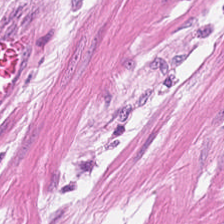H&E-stained tissue section.
The tissue type is smooth muscle.
